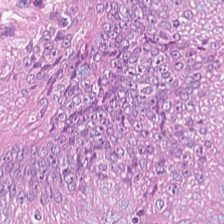Hematoxylin and eosin; 20× equivalent magnification; 224×224 pixel tile — {"tissue_type": "colorectal adenocarcinoma"}
